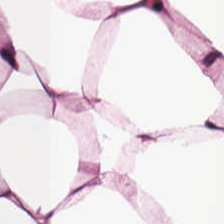0.5 µm/px · H&E.
Finding → adipose.
